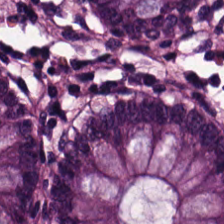Tissue type — normal colon mucosa.
